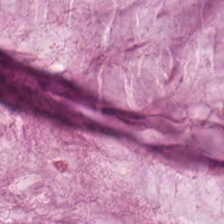H&E stain. 0.5 µm per pixel. 224×224 px patch — Q: What is the predominant tissue type?
A: Mucin.
